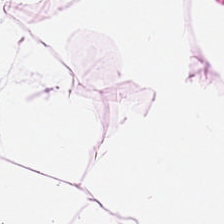Hematoxylin and eosin.
Tissue type: adipose.
